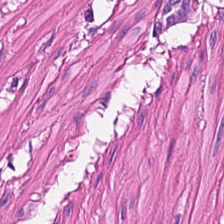H&E stain.
Finding → muscularis.
